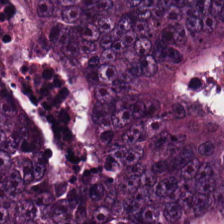H&E · 20× equivalent magnification — The tissue class is adenocarcinoma.
